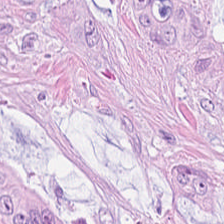H&E.
Predominant tissue — colorectal adenocarcinoma epithelium.
